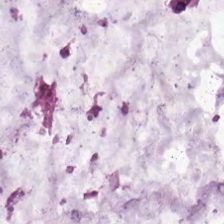224×224 px tile. H&E stain. 0.5 µm per pixel — This field is mucus.
